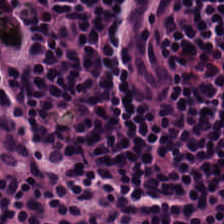Stain: H&E stain.
Tissue: lymphoid infiltrate.
